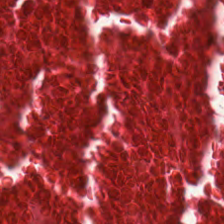Hematoxylin and eosin — Cellular debris.
